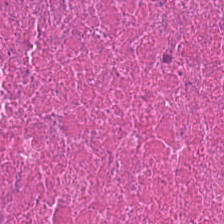Brightfield microscopy. 0.5 µm per pixel. Hematoxylin and eosin — Histology — cellular debris.
